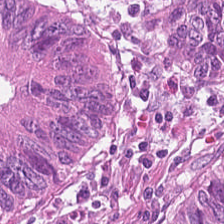Hematoxylin and eosin — This patch shows adenocarcinoma.
